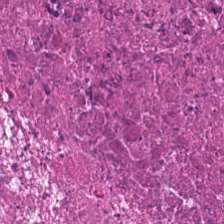0.5 µm per pixel; H&E stain. Predominantly debris.
